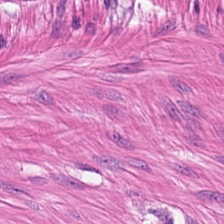H&E-stained tissue section.
Finding → muscularis.
